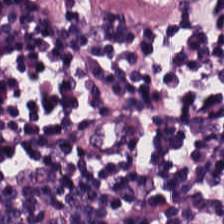Histology → lymphocyte aggregate.
